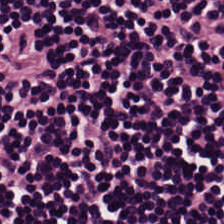Hematoxylin-and-eosin stained section. Finding → lymphoid infiltrate.
